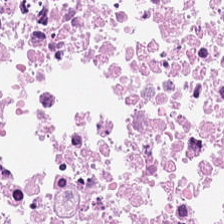Hematoxylin-and-eosin stained section — The predominant tissue is necrotic debris.
